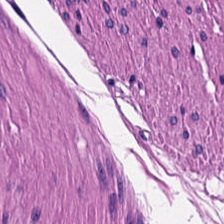Hematoxylin and eosin; brightfield microscopy. Tissue: smooth muscle.
